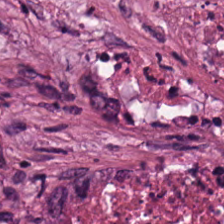H&E stain — Showing cellular debris.
